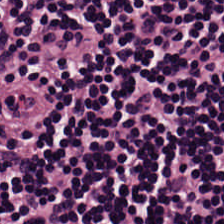Stain: H&E stain.
Tissue type: lymphocytic infiltrate.
